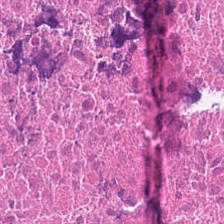Stain: hematoxylin-and-eosin stained section.
Classification: debris.
